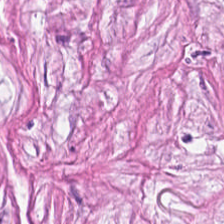Hematoxylin-and-eosin stained section · 224×224 px patch.
Tissue class — cancer-associated stroma.
